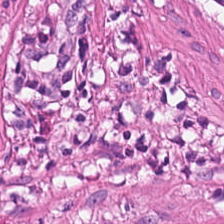Histology → smooth muscle.
